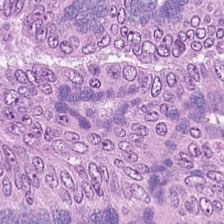Brightfield microscopy; 224×224 px tile; H&E-stained tissue section — This patch shows malignant epithelium.
